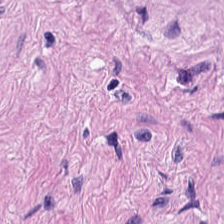Brightfield microscopy · H&E stain · 224×224 px patch.
Tissue class — muscularis.
